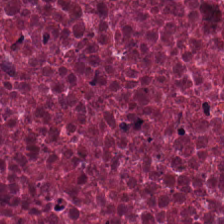FFPE tissue section; brightfield microscopy; H&E stain — Q: What does this patch show?
A: The field shows necrotic debris.
